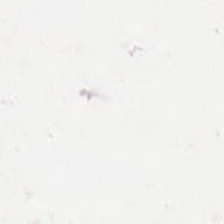FFPE tissue section · hematoxylin-and-eosin stained section — No tissue present; background only.
